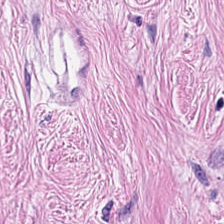Stain: H&E.
Tissue: cancer-associated stroma.
